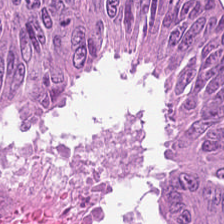H&E; formalin-fixed paraffin-embedded section.
Colorectal adenocarcinoma epithelium.
